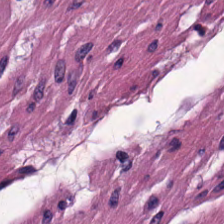WSI patch. Hematoxylin and eosin. Tissue type: muscularis.
